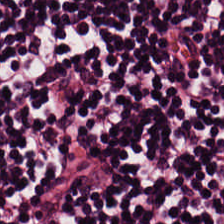224×224 px tile. 0.5 µm per pixel. H&E-stained tissue section. Q: What tissue is shown?
A: This is lymphocytes.
